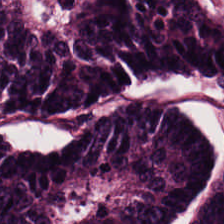The predominant tissue is adenocarcinoma.
